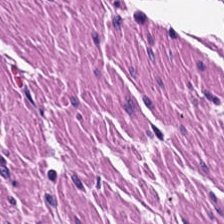Hematoxylin and eosin — Tissue = smooth muscle.
